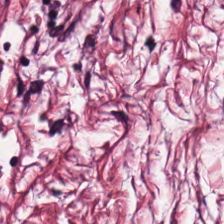Formalin-fixed paraffin-embedded section · H&E.
Showing tumor stroma.
